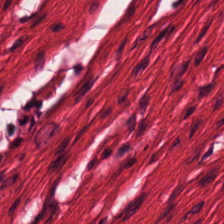Stain: H&E.
Tissue: smooth muscle.
